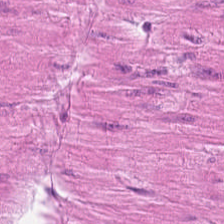H&E stain.
Showing smooth muscle.
